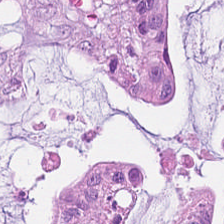Hematoxylin-and-eosin stained section — {"tissue_type": "mucin"}
